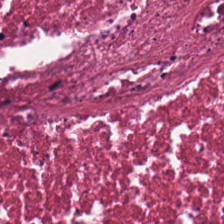H&E stain.
The tissue class is debris.
